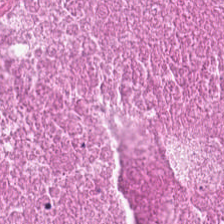H&E stain.
Q: What is shown in this field?
A: It is debris.
